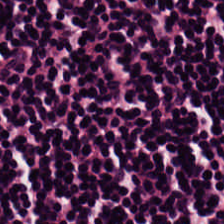Finding — lymphoid infiltrate.
